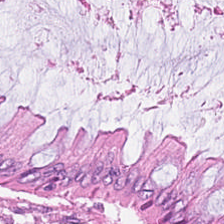H&E-stained tissue section; 20× equivalent magnification. Histology → normal colonic mucosa.
